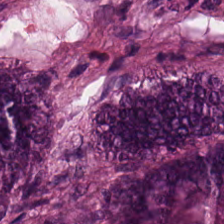Hematoxylin-and-eosin section: tumor epithelium.
